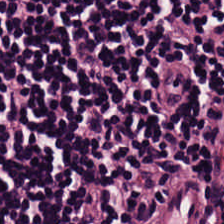224×224 px patch · hematoxylin and eosin.
The tissue here is lymphoid infiltrate.
